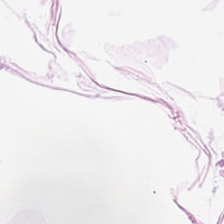0.5 µm per pixel; hematoxylin and eosin; WSI patch — Classification — adipocytes.
